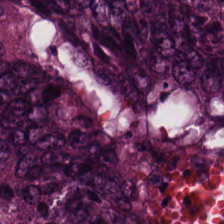Brightfield microscopy; hematoxylin-and-eosin stained section.
The tissue type is adenocarcinoma.
